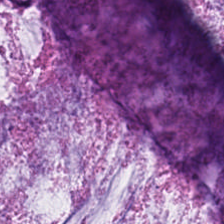Hematoxylin and eosin; 224×224 px tile. Impression — mucus.
